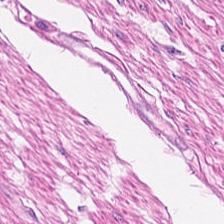H&E.
The tissue is smooth-muscle tissue.
